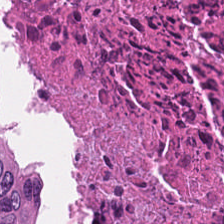H&E-stained tissue section. Q: What tissue type is shown here?
A: This is necrotic debris.
